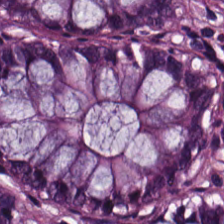Stain: hematoxylin-and-eosin stained section.
Resolution: 0.5 µm/px.
Preparation: FFPE.
Predominant tissue: non-neoplastic colon mucosa.
